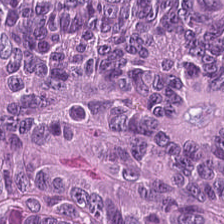0.5 µm/px; 224×224 px tile; hematoxylin-and-eosin stained section. The tissue here is colorectal adenocarcinoma.
